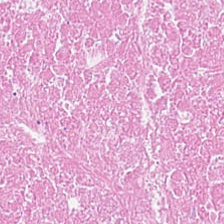Q: What does this patch show?
A: The field shows cellular debris.
